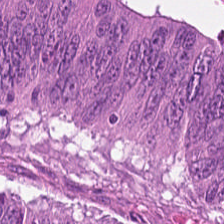Tissue type = colorectal adenocarcinoma epithelium.
